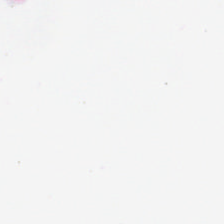H&E.
This patch shows background.
